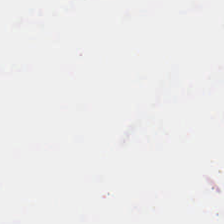H&E — No tissue present; background only.
